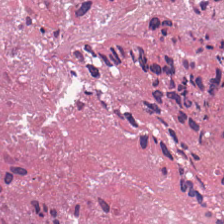FFPE tissue section. 20× equivalent magnification. H&E-stained tissue section.
This field is cellular debris.
